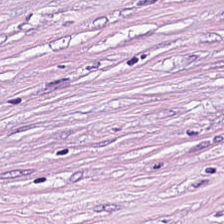Hematoxylin-and-eosin stained section · brightfield — The tissue class is cancer-associated stroma.
